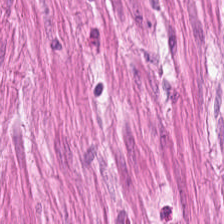Hematoxylin-and-eosin stained section. Predominantly smooth-muscle tissue.
